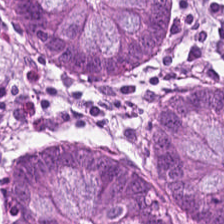H&E-stained section; the field shows non-neoplastic colon mucosa.
